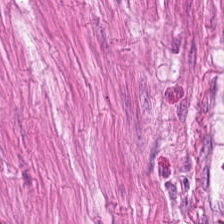FFPE; 0.5 µm per pixel; hematoxylin-and-eosin stained section.
This field is muscularis.
